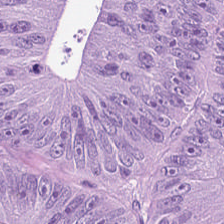Q: What tissue type is shown here?
A: The field shows colorectal adenocarcinoma.
